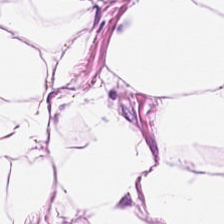H&E.
Tissue — fat tissue.
